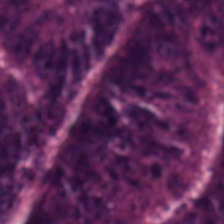Formalin-fixed paraffin-embedded section · 224×224 px patch · hematoxylin-and-eosin stained section.
Tissue type = tumor epithelium.
